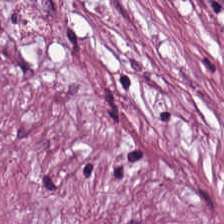Hematoxylin and eosin. 224×224 px tile. This patch shows tumor-associated stroma.
